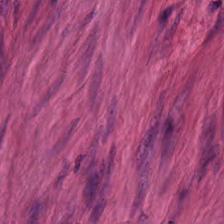Q: What tissue type is shown here?
A: The field shows smooth-muscle tissue.
